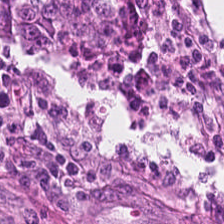H&E-stained tissue section. Q: What does this patch show?
A: This is malignant epithelium.
